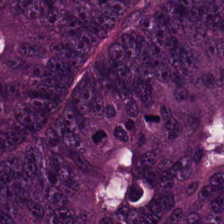FFPE tissue section. H&E-stained tissue section. 224×224 px tile.
Showing colorectal adenocarcinoma epithelium.
